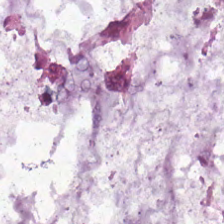H&E; FFPE tissue section. Predominantly mucus.
